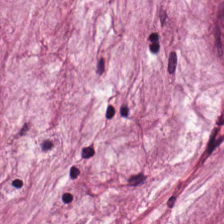Extracellular mucin.
